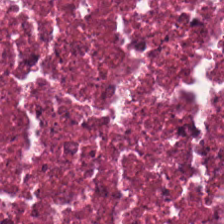Tissue type — necrotic debris.
